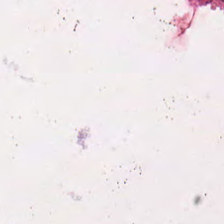FFPE · H&E stain.
The tissue here is necrotic debris.
